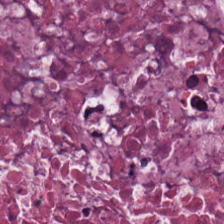H&E; FFPE tissue section; 224×224 px tile — This field is necrotic debris.
